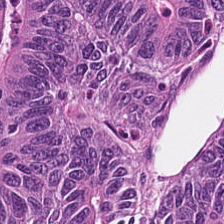Stain: H&E.
Predominant tissue: colorectal adenocarcinoma.
